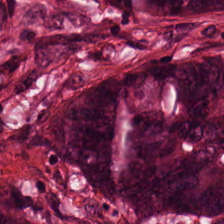224×224 pixel tile. Hematoxylin and eosin.
Tissue — colorectal adenocarcinoma.
